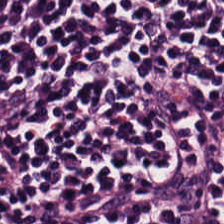H&E.
Classification: lymphocytic infiltrate.
